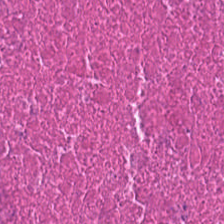Stain: H&E-stained tissue section.
Acquisition: whole-slide-image patch.
Tissue class: debris.
